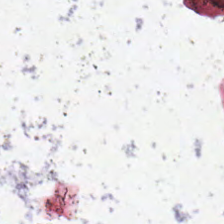Q: What is shown here?
A: Background (no tissue).
